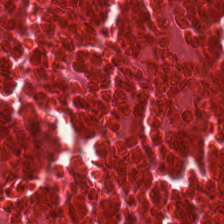Hematoxylin-and-eosin stained section. The predominant tissue is cellular debris.
